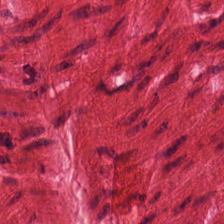Hematoxylin-and-eosin stained section. 0.5 µm per pixel — Tissue class: muscularis.
